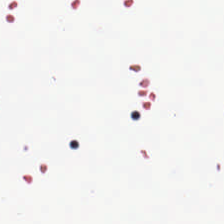WSI patch · H&E-stained tissue section — No tissue present; background only.
